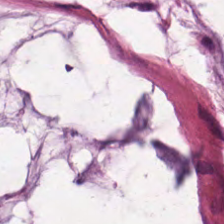H&E stain.
The classification is extracellular mucin.
